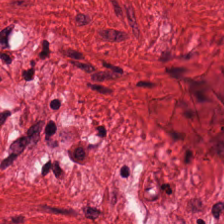Whole-slide-image patch. H&E stain. 224×224 px tile — Classification = smooth-muscle tissue.
